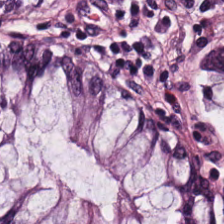224×224 px tile. Hematoxylin-and-eosin stained section.
Q: Classify this patch.
A: This is normal colon mucosa.
